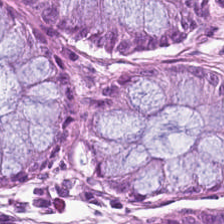H&E stain — Predominant tissue = non-neoplastic colon mucosa.
